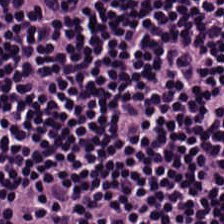The predominant tissue is lymphocyte aggregate.
